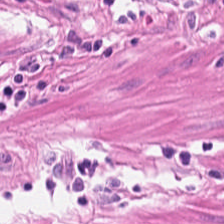Hematoxylin and eosin · formalin-fixed paraffin-embedded section — This field is smooth-muscle tissue.
